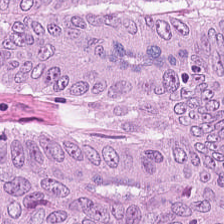224×224 px tile; H&E-stained tissue section.
Predominantly adenocarcinoma.
